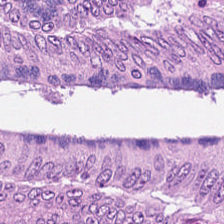H&E-stained tissue section. Classification: adenocarcinoma.
